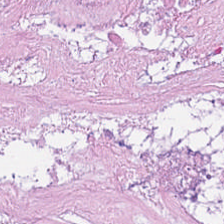Hematoxylin-and-eosin stained section. Tissue type: cellular debris.
